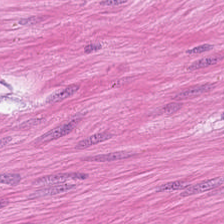Smooth-muscle tissue.
